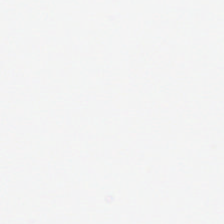Hematoxylin-and-eosin stained section. Empty field — no tissue.
